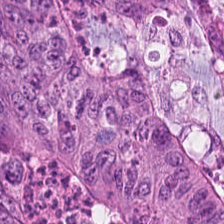H&E-stained tissue section. Impression → tumor epithelium.
